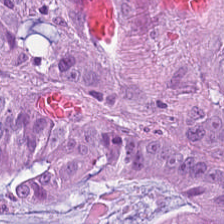Tissue class — malignant epithelium.
